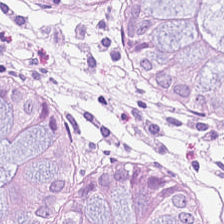Predominant tissue: benign colonic mucosa.
